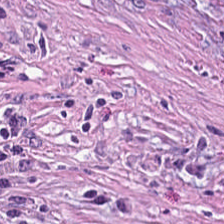Hematoxylin and eosin.
Showing cancer-associated stroma.
